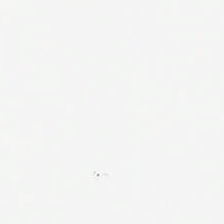Q: Classify this patch.
A: Empty background.
